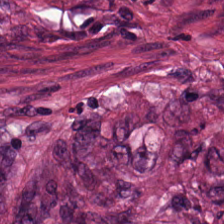Hematoxylin and eosin.
Showing tumor-associated stroma.
